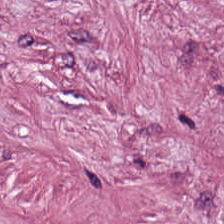Hematoxylin and eosin — This field is tumor-associated stroma.
